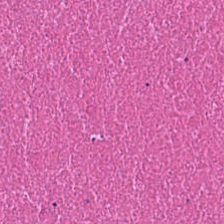Tissue class = debris.
